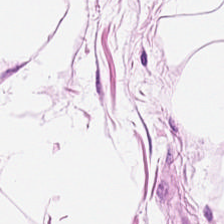0.5 µm/px · formalin-fixed paraffin-embedded section · H&E-stained tissue section.
Finding — adipose.
